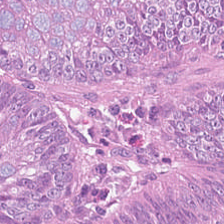Hematoxylin-and-eosin stained section; FFPE; 224×224 pixel tile.
Q: Classify this patch.
A: The field shows tumor epithelium.
